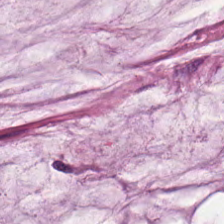The tissue here is mucin.
